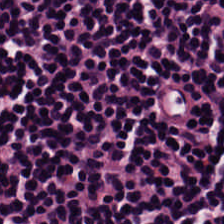Hematoxylin-and-eosin stained section · 224×224 pixel tile. {"tissue_type": "lymphoid infiltrate"}
